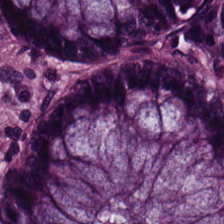H&E-stained tissue section — Normal colonic mucosa.
